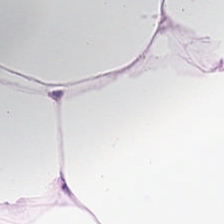224×224 px patch · H&E stain.
The tissue class is adipose.
